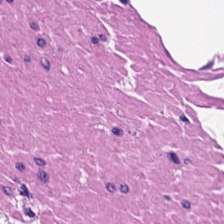Brightfield microscopy · H&E-stained tissue section · 0.5 microns per pixel — Q: What type of tissue is this?
A: Smooth-muscle tissue.
